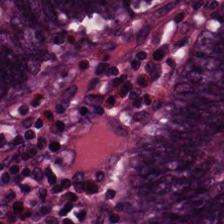H&E-stained tissue section — The tissue type is benign colonic mucosa.
